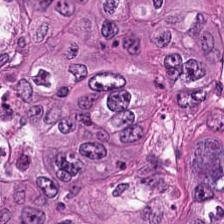H&E stain · FFPE tissue section.
{"tissue_type": "colorectal adenocarcinoma epithelium"}
